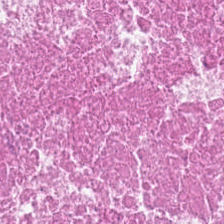0.5 µm per pixel. Hematoxylin and eosin. Necrotic debris.
